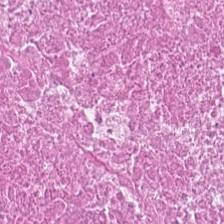Brightfield microscopy. 20× equivalent magnification. H&E-stained tissue section — Showing cellular debris.
